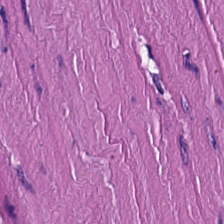H&E. Q: Classify this patch.
A: Muscularis.
